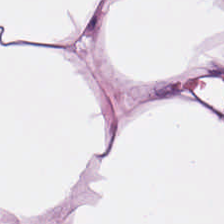Hematoxylin and eosin · FFPE — The tissue class is fat tissue.
